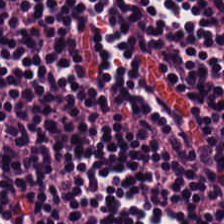Hematoxylin and eosin; 0.5 microns per pixel.
Showing lymphoid infiltrate.
